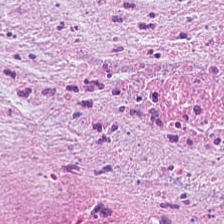H&E-stained tissue section.
This field is tumor stroma.
